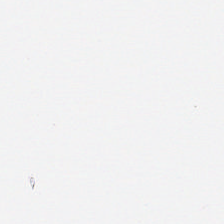Stain: hematoxylin-and-eosin stained section.
Acquisition: whole-slide-image patch.
Classification: no tissue.
